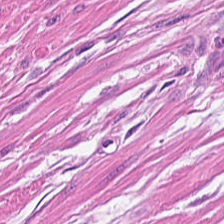224×224 px patch; hematoxylin and eosin; FFPE.
Histology → smooth muscle.
